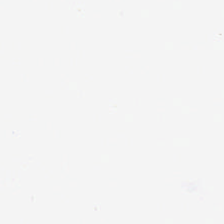No tissue present; background only.
